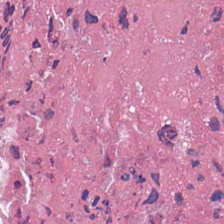0.5 microns per pixel. Hematoxylin and eosin — Q: What is the predominant tissue type?
A: This is debris.
